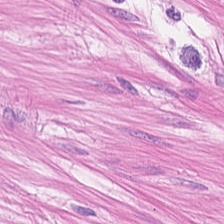H&E; FFPE tissue section.
This patch shows muscularis.
